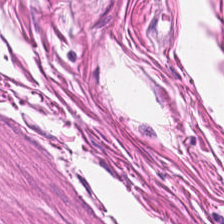H&E. Whole-slide-image patch. 20× equivalent magnification. Q: What is shown here?
A: This is muscularis.
